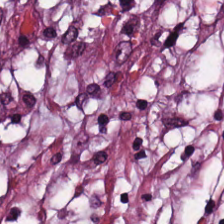H&E-stained tissue section. {"tissue_type": "tumor stroma"}
